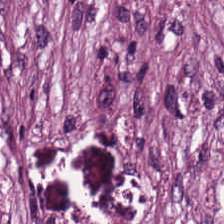FFPE; H&E; whole-slide-image patch — This patch shows tumor-associated stroma.
